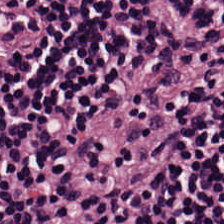FFPE tissue section · H&E-stained tissue section — Q: What tissue type is shown here?
A: This is lymphocytic infiltrate.
